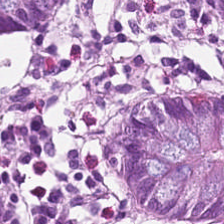224×224 px patch. WSI patch. Hematoxylin and eosin — Q: Identify the tissue.
A: It is normal colonic mucosa.
